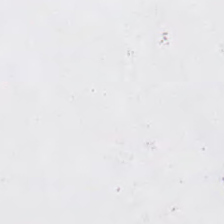Stain: hematoxylin and eosin.
Content: empty background.
